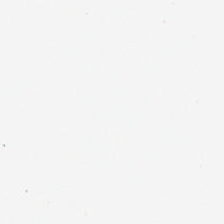Q: What is shown in this field?
A: The field shows empty background.
